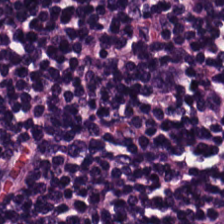Stain: H&E stain.
Tissue type: lymphoid infiltrate.
